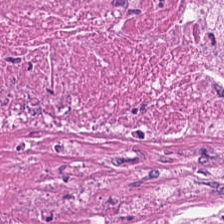Hematoxylin-and-eosin stained section · FFPE tissue section.
Q: What is shown in this field?
A: It is debris.
